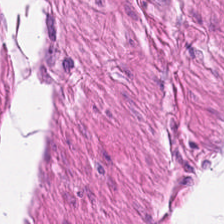0.5 µm/px; hematoxylin-and-eosin stained section; brightfield.
Tissue class = smooth muscle.
